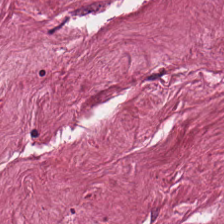Hematoxylin and eosin.
This field is cancer-associated stroma.
